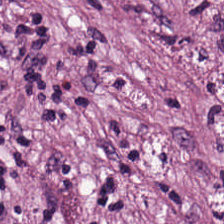0.5 µm/px; H&E-stained tissue section — Cancer-associated stroma.
